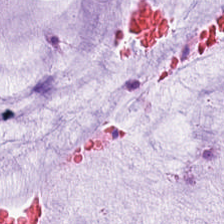Hematoxylin-and-eosin section: mucus.
